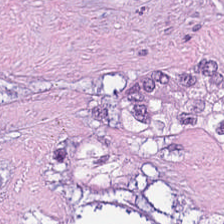H&E stain. Q: What is shown in this field?
A: Cellular debris.
